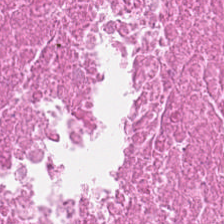WSI patch · H&E-stained tissue section — The predominant tissue is cellular debris.
